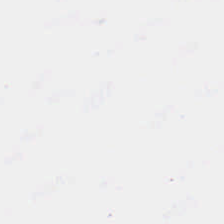Whole-slide-image patch · H&E-stained tissue section.
Background — no tissue in this field.
